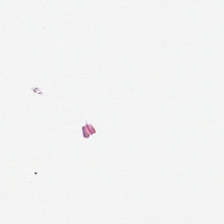224×224 px patch; 20× equivalent magnification; hematoxylin and eosin.
Field content: background (no tissue).
